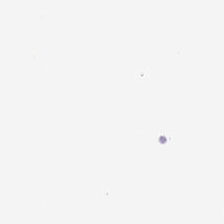Formalin-fixed paraffin-embedded section. H&E. 224×224 px tile — Histology → no tissue.
